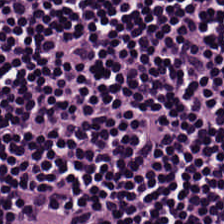H&E; 224×224 px patch — Q: What is shown in this field?
A: It is lymphocytes.
